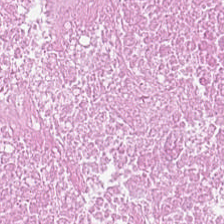Stain: H&E-stained tissue section.
Tissue: necrotic debris.
